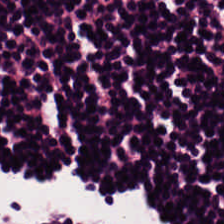FFPE. Hematoxylin and eosin.
Histology → lymphocytic infiltrate.
